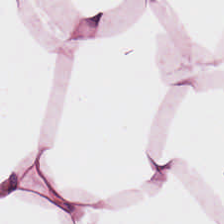FFPE. H&E stain — Impression — adipose tissue.
